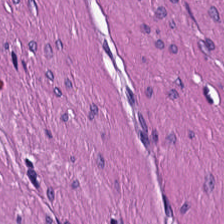{"tissue_type": "smooth muscle"}
